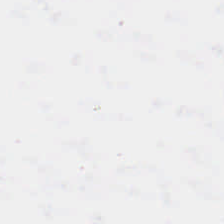Brightfield microscopy. H&E-stained tissue section. FFPE tissue section — Q: Classify this patch.
A: The field shows empty background.
